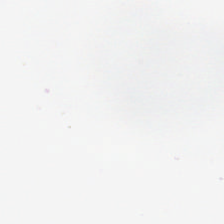Stain: hematoxylin and eosin.
Classification: no tissue.
